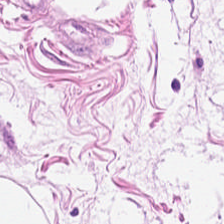H&E-stained tissue section showing adipocytes.
